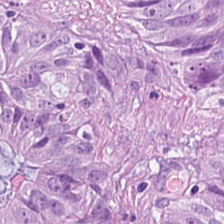Histology — tumor epithelium.
